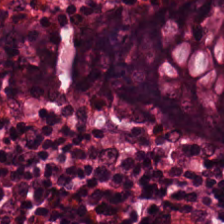Stain: H&E stain.
Resolution: 0.5 µm/px.
Tissue class: normal colon mucosa.
